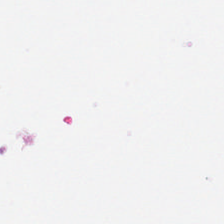H&E-stained tissue section — Finding — background (no tissue).
